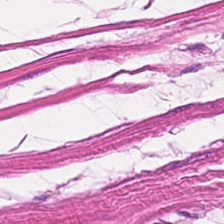H&E. This field is muscularis.
